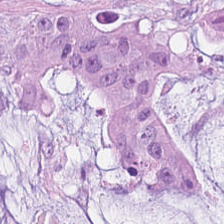The tissue here is mucus.
